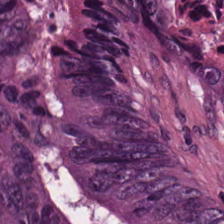Hematoxylin and eosin; 0.5 µm/px — Finding — cellular debris.
